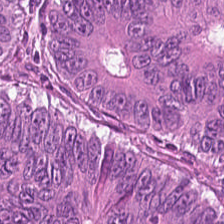Stain: hematoxylin-and-eosin stained section.
Predominant tissue: adenocarcinoma.
